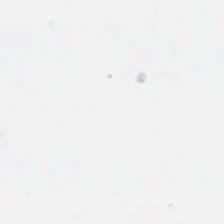Hematoxylin-and-eosin stained section · brightfield microscopy — This field is background (no tissue).
